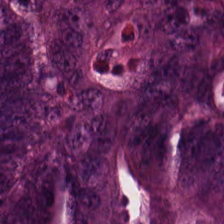Q: What type of tissue is this?
A: The field shows adenocarcinoma.
